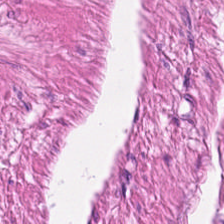Hematoxylin-and-eosin stained section.
Impression → smooth muscle.
